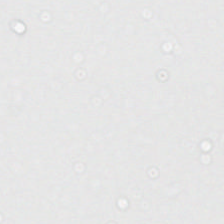Classification: no tissue.
